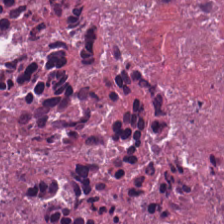H&E-stained tissue section.
Q: Identify the tissue.
A: This is cellular debris.
